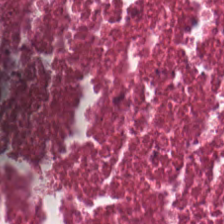H&E-stained section; the field shows cellular debris.
